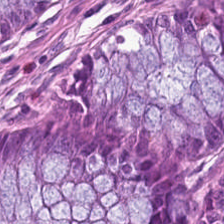Hematoxylin and eosin — Normal colonic mucosa.
